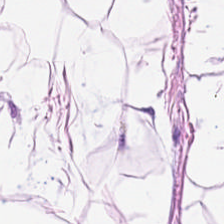Hematoxylin-and-eosin stained section — Showing fat tissue.
